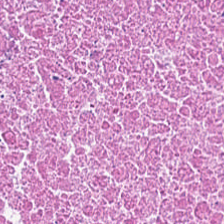H&E stain. This patch shows debris.
